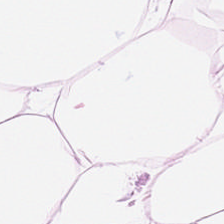{"tissue_type": "adipose"}
